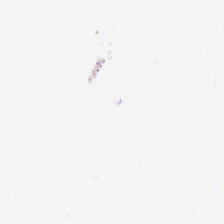Hematoxylin and eosin · 0.5 µm/px.
Background — no tissue in this field.
